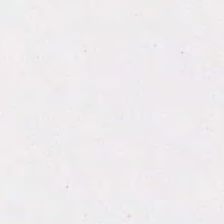H&E-stained tissue section. 224×224 px tile — This patch shows background (no tissue).
